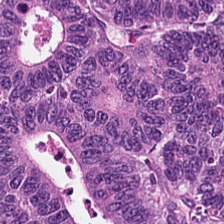Hematoxylin-and-eosin stained section; FFPE tissue section. Tissue type = colorectal adenocarcinoma epithelium.
